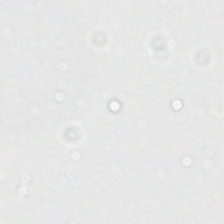Hematoxylin-and-eosin stained section · formalin-fixed paraffin-embedded section.
Empty background.
